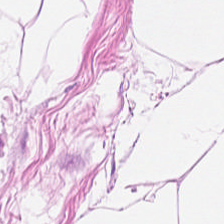Impression → adipose tissue.
